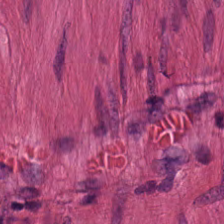Tissue type = muscularis.
